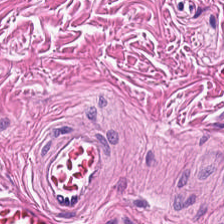Stain: hematoxylin and eosin.
Predominant tissue: muscularis.
